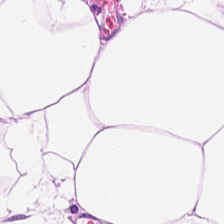Hematoxylin-and-eosin stained section. 0.5 microns per pixel. 224×224 px patch — This field is adipocytes.
